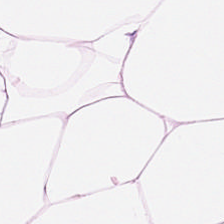Q: Identify the tissue.
A: This is adipose tissue.
